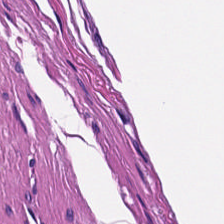Q: What is shown in this field?
A: The field shows muscularis.
